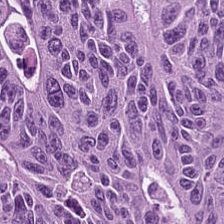Hematoxylin and eosin.
Q: Classify this patch.
A: This is colorectal adenocarcinoma.
